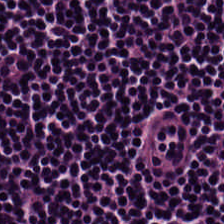Predominant tissue — lymphoid infiltrate.
